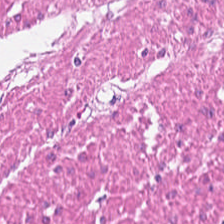Hematoxylin and eosin.
Predominant tissue: smooth muscle.
